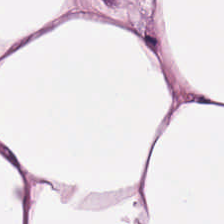Hematoxylin and eosin — The tissue type is adipose tissue.
